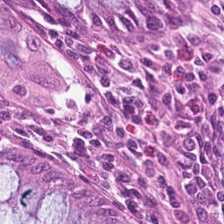H&E stain. This field is normal colonic mucosa.
